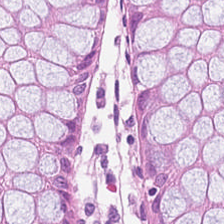Hematoxylin-and-eosin stained section — Predominantly non-neoplastic colon mucosa.
